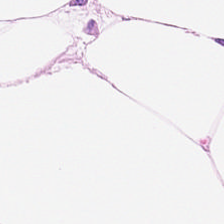Q: What is shown in this field?
A: The field shows adipocytes.
